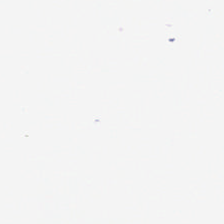H&E stain — Content — empty background.
